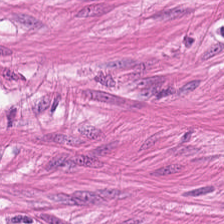H&E stain; 0.5 microns per pixel.
Finding → smooth muscle.
